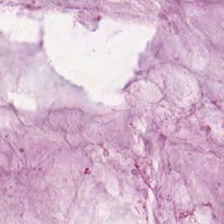H&E stain.
Showing mucus.
